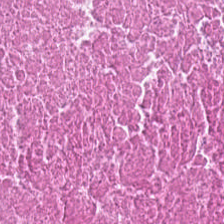Hematoxylin and eosin · 0.5 µm per pixel. Cellular debris.
